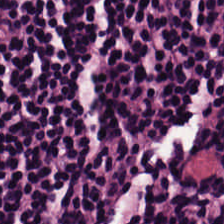Hematoxylin-and-eosin stained section. The predominant tissue is lymphoid infiltrate.
